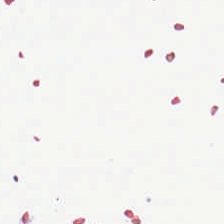Hematoxylin and eosin. This patch shows no tissue.
